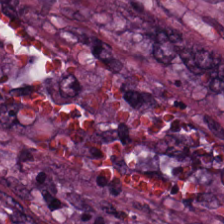Whole-slide-image patch · H&E-stained tissue section · formalin-fixed paraffin-embedded section — Tissue: tumor epithelium.
